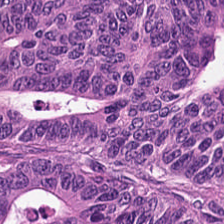Stain: hematoxylin-and-eosin stained section.
Resolution: 0.5 microns per pixel.
Classification: colorectal adenocarcinoma epithelium.
